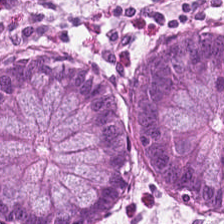Tissue type — normal colonic mucosa.
